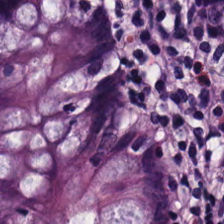Stain: hematoxylin-and-eosin stained section.
Tissue type: non-neoplastic colon mucosa.
